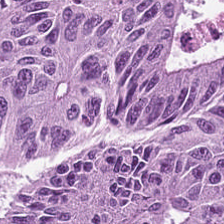H&E. Q: What is shown in this field?
A: The field shows adenocarcinoma.
